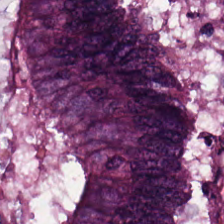0.5 µm/px · H&E — Q: Classify this patch.
A: Colorectal adenocarcinoma.
